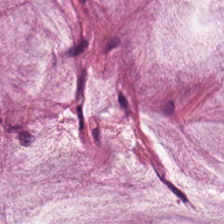Hematoxylin and eosin. Histology → extracellular mucin.
